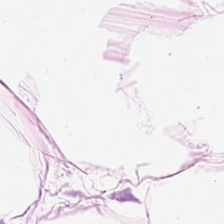Brightfield; H&E-stained tissue section.
Predominantly adipose tissue.
